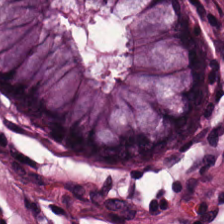H&E-stained tissue section · 20× equivalent magnification · 224×224 px patch. Tissue class: non-neoplastic colon mucosa.
